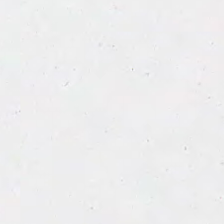Finding → background (no tissue).
